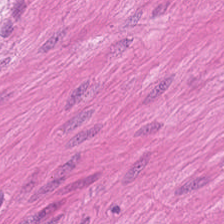FFPE tissue section. H&E. 20× equivalent magnification.
{"tissue_type": "smooth-muscle tissue"}
